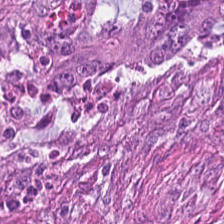Tissue class = colorectal adenocarcinoma epithelium.
